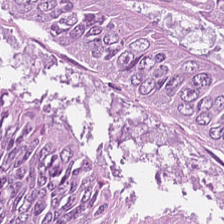The tissue is colorectal adenocarcinoma.
